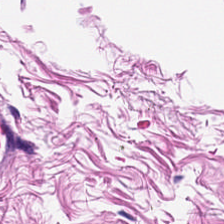Hematoxylin-and-eosin stained section. Predominantly smooth-muscle tissue.
